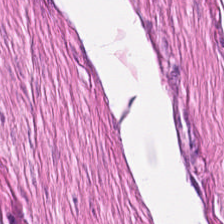H&E-stained tissue section — Finding — smooth-muscle tissue.
